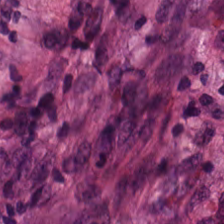Tissue class — tumor-associated stroma.
